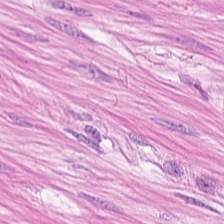Stain: hematoxylin and eosin.
Classification: smooth muscle.
